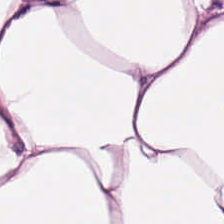Stain: H&E stain.
Predominant tissue: adipose.
